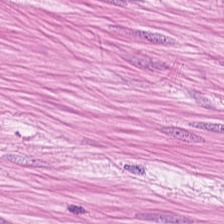Formalin-fixed paraffin-embedded section · 0.5 µm/px · H&E stain — Tissue class — smooth muscle.
